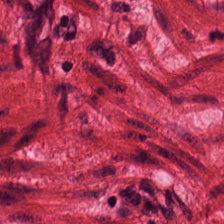Hematoxylin-and-eosin section: smooth muscle.
